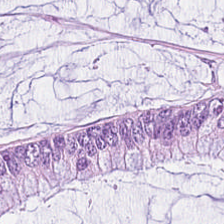Hematoxylin and eosin. 224×224 px tile.
This patch shows mucus.
